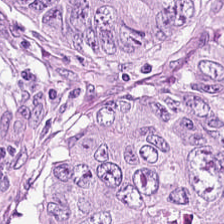Q: What is shown here?
A: Adenocarcinoma.
